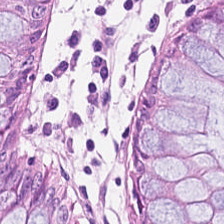H&E stain. FFPE tissue section. 224×224 px tile. The tissue type is normal colon mucosa.
